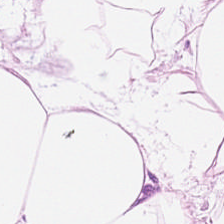Brightfield microscopy. Formalin-fixed paraffin-embedded section. H&E-stained tissue section.
Tissue — fat tissue.
